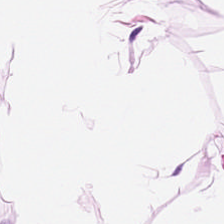H&E patch showing fat tissue.
